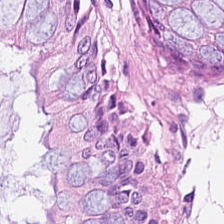Q: What is shown in this field?
A: It is non-neoplastic colon mucosa.
